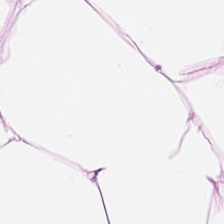H&E stain — This field is adipocytes.
